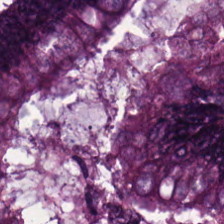H&E; WSI patch.
Classification — tumor epithelium.
